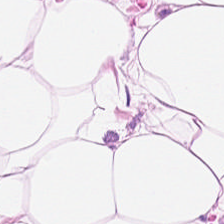Impression — fat tissue.
